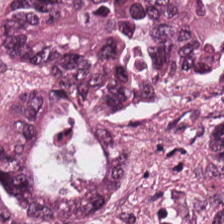H&E — The tissue here is colorectal adenocarcinoma.
